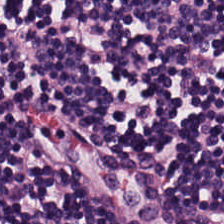Hematoxylin and eosin · 224×224 px patch — Tissue — lymphoid infiltrate.
